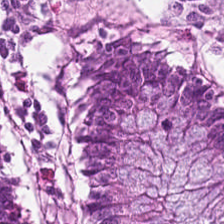The predominant tissue is normal colon mucosa.
